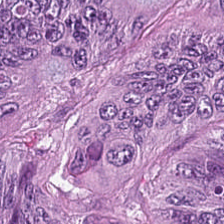The classification is adenocarcinoma.
